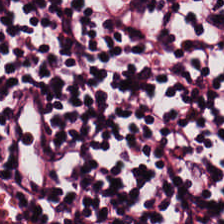The tissue here is lymphocyte aggregate.
